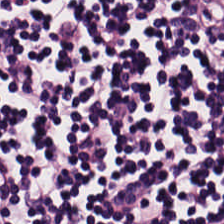224×224 pixel tile · hematoxylin and eosin · FFPE tissue section.
Showing lymphocytes.
